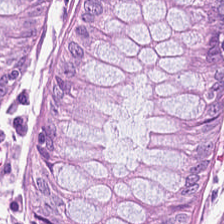Hematoxylin-and-eosin stained section.
Finding → normal colon mucosa.
